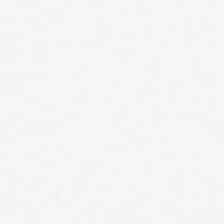Content — no tissue.
